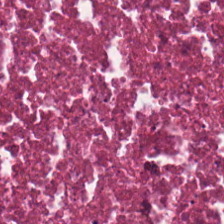FFPE tissue section · H&E stain — The tissue here is necrotic debris.
